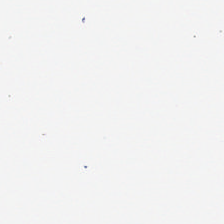Hematoxylin and eosin · whole-slide-image patch. This patch shows background (no tissue).
